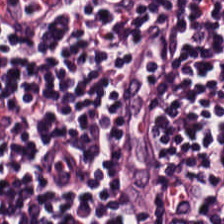Hematoxylin and eosin. Classification — lymphocytic infiltrate.
